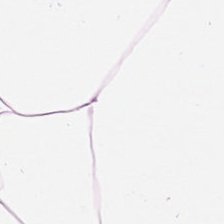H&E stain — Q: What is shown here?
A: This is adipose tissue.
